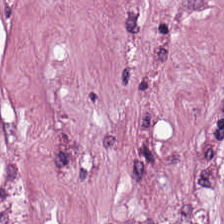Hematoxylin-and-eosin stained section. Predominantly tumor stroma.
